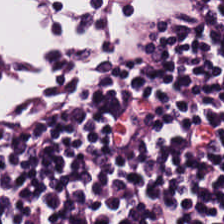H&E; 20× equivalent magnification; 224×224 px patch. Tissue class — lymphoid infiltrate.
